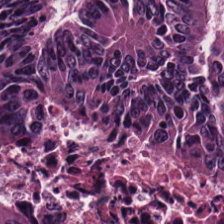Stain: hematoxylin-and-eosin stained section.
Preparation: FFPE tissue section.
Classification: malignant epithelium.
